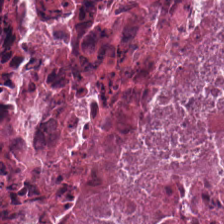Hematoxylin and eosin — Necrotic debris.
